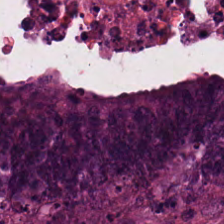Colorectal adenocarcinoma epithelium.
